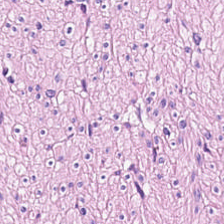Formalin-fixed paraffin-embedded section · 224×224 px patch · hematoxylin and eosin — Histology — smooth-muscle tissue.
